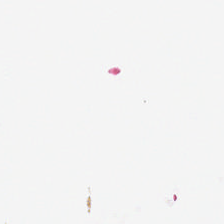H&E. Background — no tissue in this field.
